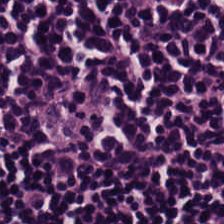H&E-stained section; the field shows lymphocytic infiltrate.
